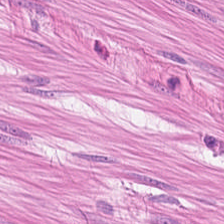Hematoxylin-and-eosin stained section — Finding → muscularis.
